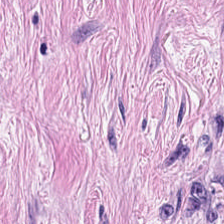0.5 µm per pixel · H&E. Classification = desmoplastic stroma.
